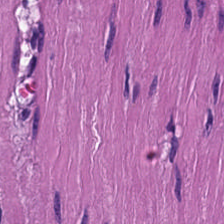Q: What tissue is shown?
A: It is muscularis.
